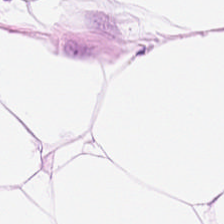FFPE tissue section · H&E-stained tissue section.
Q: Identify the tissue.
A: Adipocytes.
